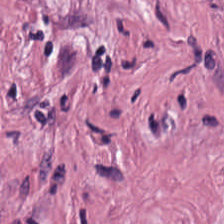Stain: H&E stain.
Classification: cancer-associated stroma.
